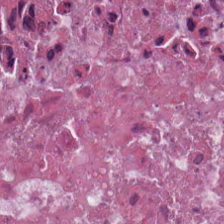Hematoxylin-and-eosin stained section. The tissue class is cellular debris.
